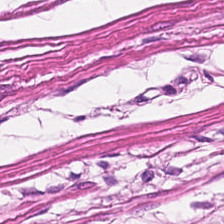0.5 µm/px. 224×224 pixel tile. H&E stain.
Histology → muscularis.
